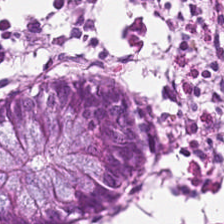H&E.
Q: What is the predominant tissue type?
A: It is normal colon mucosa.
